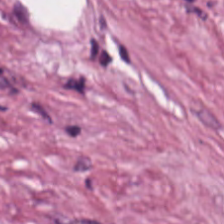Hematoxylin-and-eosin section: cancer-associated stroma.
